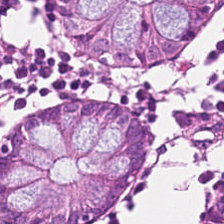Whole-slide-image patch; H&E-stained tissue section.
The tissue type is normal colon mucosa.
